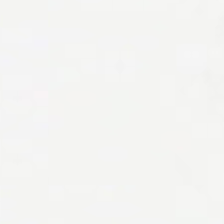No tissue present; background only.
